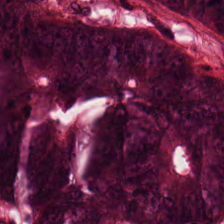H&E · 0.5 µm/px — Predominant tissue: colorectal adenocarcinoma.
